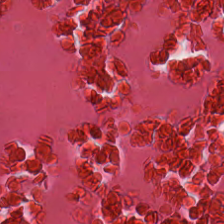H&E-stained tissue section.
Tissue class — necrotic debris.
